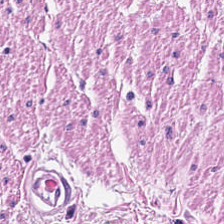Showing smooth-muscle tissue.
